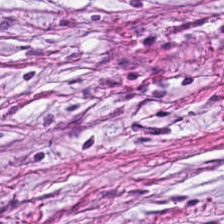H&E — desmoplastic stroma.
